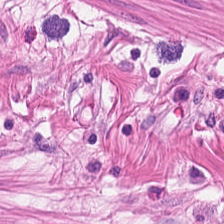H&E; brightfield — Impression → smooth muscle.
